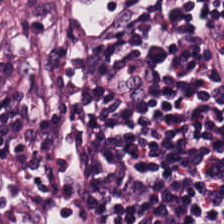Predominant tissue: lymphoid infiltrate.
